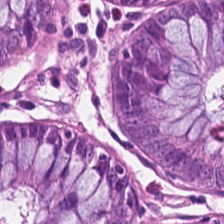224×224 px tile; 0.5 µm per pixel; H&E stain — Q: What is shown here?
A: Non-neoplastic colon mucosa.
